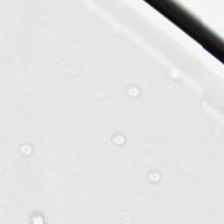H&E-stained tissue section · 20× equivalent magnification — Q: What does this patch show?
A: It is background (no tissue).
